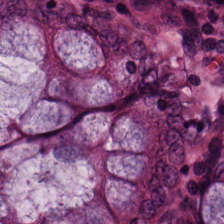H&E. This patch shows normal colon mucosa.
